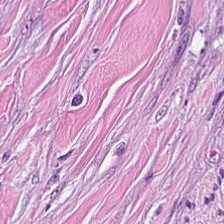FFPE tissue section · H&E-stained tissue section.
{"tissue_type": "tumor stroma"}
